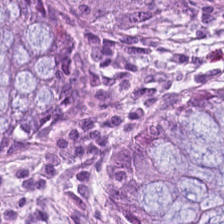H&E stain. The tissue type is benign colonic mucosa.
